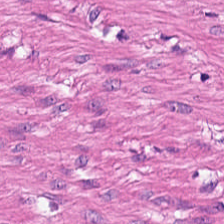H&E-stained tissue section · 224×224 pixel tile — The tissue here is smooth muscle.
